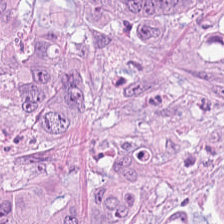H&E-stained tissue section showing colorectal adenocarcinoma.
